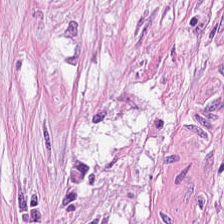Whole-slide-image patch · 224×224 pixel tile · hematoxylin and eosin.
Tumor-associated stroma.
